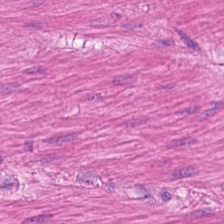Brightfield. 224×224 pixel tile. Hematoxylin-and-eosin stained section — Q: What is shown in this field?
A: It is smooth muscle.
